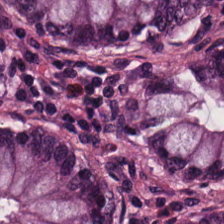Stain: H&E.
Acquisition: brightfield.
Tile size: 224×224 pixel tile.
Tissue class: non-neoplastic colon mucosa.
